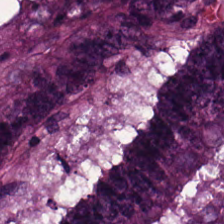H&E stain — This field is adenocarcinoma.
